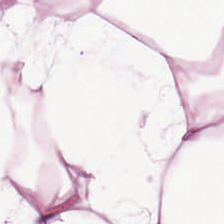H&E stain. Tissue class: adipocytes.
